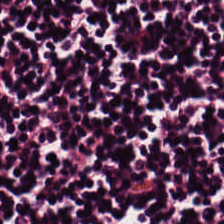Brightfield microscopy; 0.5 microns per pixel; hematoxylin-and-eosin stained section. Q: What tissue is shown?
A: Lymphocyte aggregate.
